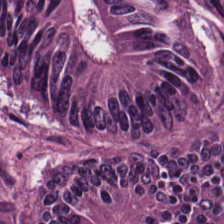H&E — malignant epithelium.
